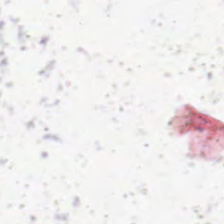224×224 px patch · H&E-stained tissue section.
Classification = background (no tissue).
